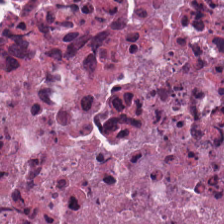0.5 µm/px; hematoxylin and eosin; 224×224 pixel tile — Predominantly debris.
